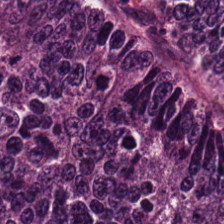Predominant tissue: colorectal adenocarcinoma.
